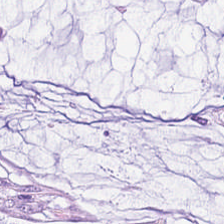H&E-stained tissue section. Whole-slide-image patch. Q: What is shown in this field?
A: It is mucin.
